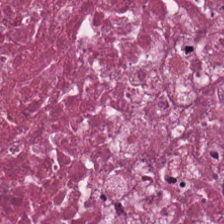H&E — debris.
